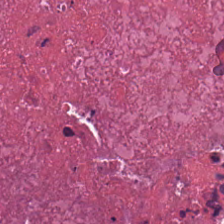FFPE tissue section. H&E-stained tissue section — Histology → cellular debris.
